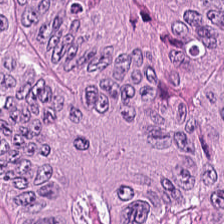H&E stain · 20× equivalent magnification · 224×224 px patch. Showing malignant epithelium.
